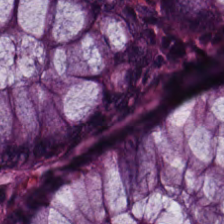Hematoxylin and eosin. Formalin-fixed paraffin-embedded section — This patch shows non-neoplastic colon mucosa.
